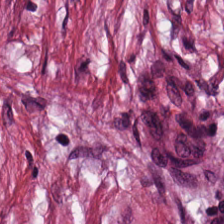H&E — tumor-associated stroma.
